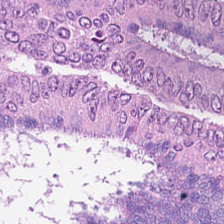This patch shows malignant epithelium.
